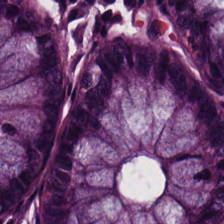H&E stain — Q: Identify the tissue.
A: It is non-neoplastic colon mucosa.
